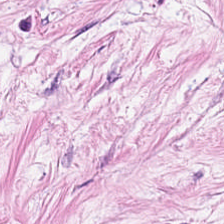H&E. Histology → tumor-associated stroma.
